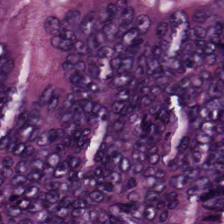H&E-stained tissue section. 20× equivalent magnification.
{"tissue_type": "malignant epithelium"}
